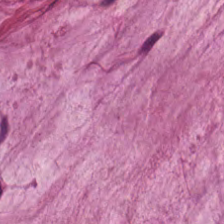Hematoxylin and eosin. This patch shows extracellular mucin.
